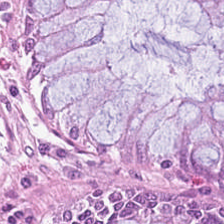H&E-stained tissue section.
Impression → benign colonic mucosa.
